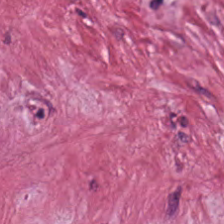Hematoxylin-and-eosin stained section.
Q: What is shown in this field?
A: The field shows cancer-associated stroma.
